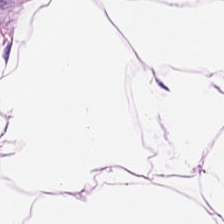H&E stain.
This patch shows fat tissue.
